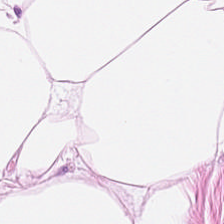H&E-stained tissue section. {"tissue_type": "adipose tissue"}
